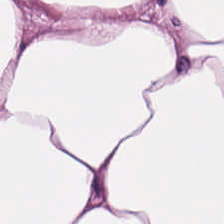Hematoxylin and eosin — Finding — fat tissue.
